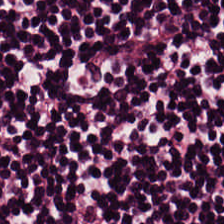Brightfield · FFPE · H&E — Tissue class: lymphocyte aggregate.
